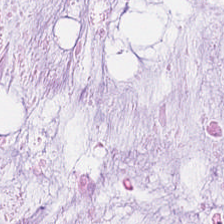H&E stain. The predominant tissue is extracellular mucin.
